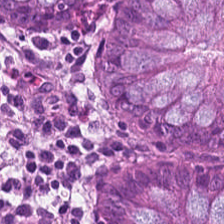Tissue class: benign colonic mucosa.
